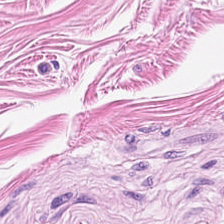Hematoxylin-and-eosin stained section — The tissue type is smooth muscle.
